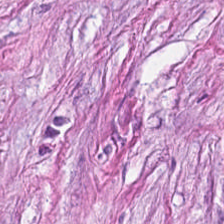Hematoxylin-and-eosin stained section. Tumor stroma.
